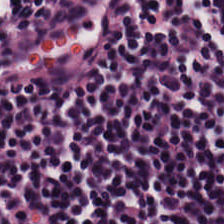Hematoxylin-and-eosin stained section; brightfield microscopy — Showing lymphocyte aggregate.
